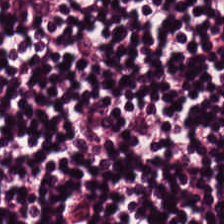H&E — This field is lymphocytes.
